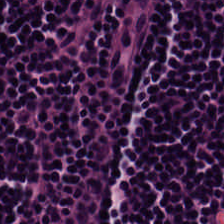Hematoxylin and eosin — {"tissue_type": "lymphocyte aggregate"}
